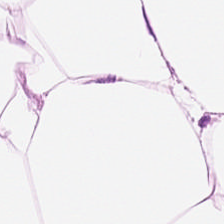0.5 µm per pixel. H&E-stained tissue section.
Q: What is shown in this field?
A: The field shows adipocytes.
